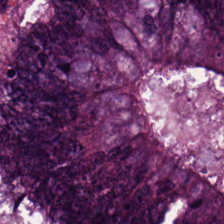H&E; brightfield microscopy.
The predominant tissue is colorectal adenocarcinoma.
